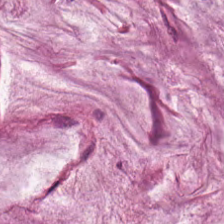Stain: hematoxylin and eosin.
Classification: mucus.
